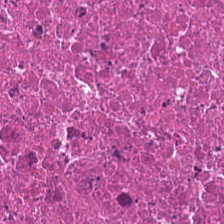H&E-stained tissue section. Showing debris.
